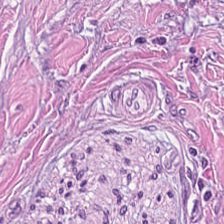Stain: hematoxylin-and-eosin stained section.
Classification: tumor-associated stroma.
